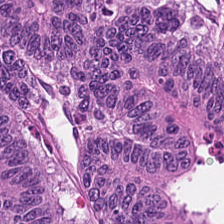Hematoxylin-and-eosin stained section — This patch shows colorectal adenocarcinoma.
